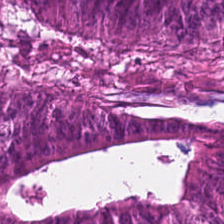H&E-stained section; the field shows adenocarcinoma.
